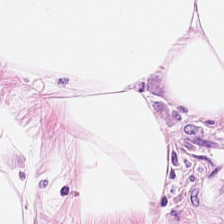H&E; 224×224 px patch; 0.5 microns per pixel — Adipose tissue.
